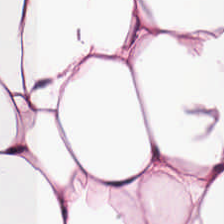Brightfield; FFPE; H&E — This patch shows fat tissue.
